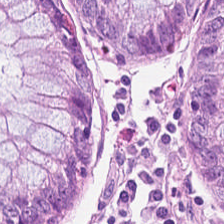Q: What is the predominant tissue type?
A: Normal colonic mucosa.
